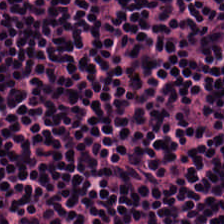Brightfield microscopy; H&E stain. Tissue type = lymphocyte aggregate.
